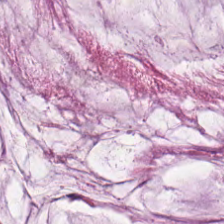Brightfield · H&E-stained tissue section.
Tissue class = extracellular mucin.
